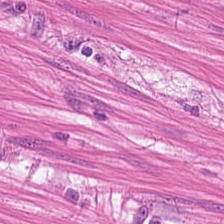H&E stain. 224×224 px tile. Tissue type — smooth-muscle tissue.
